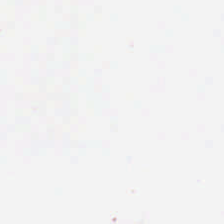Hematoxylin-and-eosin stained section. This field is background (no tissue).
